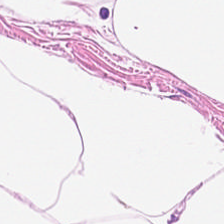224×224 px tile; H&E-stained tissue section.
Q: Identify the tissue.
A: This is fat tissue.
